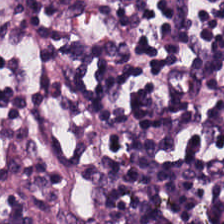H&E-stained tissue section. Histology — lymphocyte aggregate.
